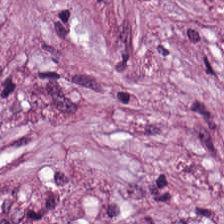20× equivalent magnification. 224×224 px tile. H&E.
Tissue class = cancer-associated stroma.
